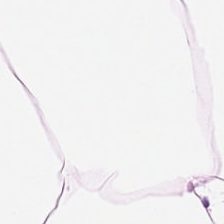H&E stain.
Showing fat tissue.
